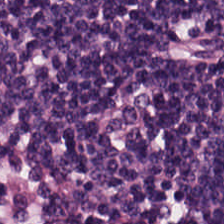Finding — lymphoid infiltrate.
